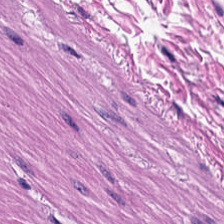Hematoxylin and eosin.
Tissue type — muscularis.
